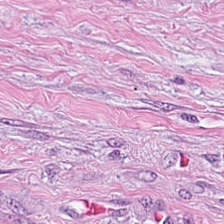20× equivalent magnification. Hematoxylin-and-eosin stained section.
Showing tumor stroma.
